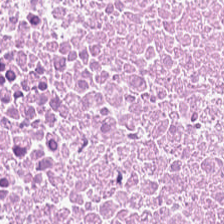Hematoxylin and eosin. Histology → necrotic debris.
